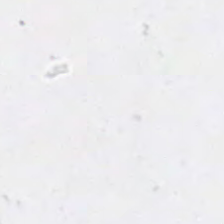H&E stain; whole-slide-image patch; 0.5 µm/px — Background — no tissue in this field.
